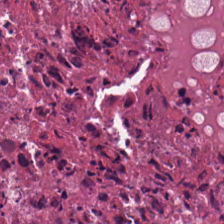224×224 px tile. Hematoxylin-and-eosin stained section. 0.5 microns per pixel — This field is cellular debris.
